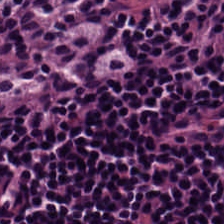The tissue class is lymphocytic infiltrate.
